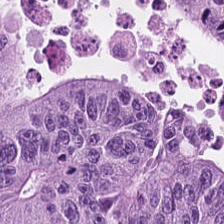0.5 µm/px · hematoxylin-and-eosin stained section.
Tissue: colorectal adenocarcinoma epithelium.
